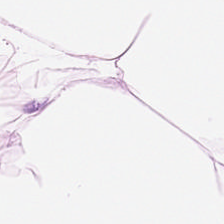Stain: hematoxylin-and-eosin stained section.
Tissue class: adipose.
